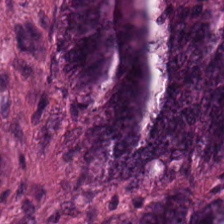Tissue class: adenocarcinoma.
